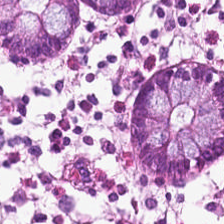Finding → benign colonic mucosa.
